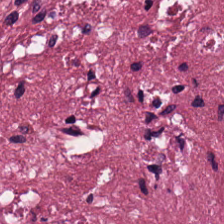H&E. Q: What type of tissue is this?
A: Cancer-associated stroma.
